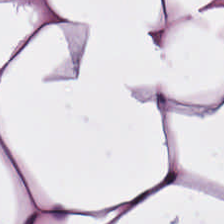Q: What is shown here?
A: It is adipocytes.
